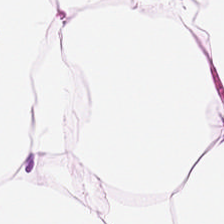H&E — adipose.
